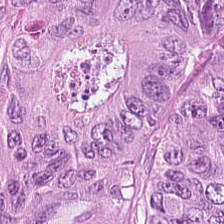Stain: hematoxylin-and-eosin stained section.
Tissue: malignant epithelium.
